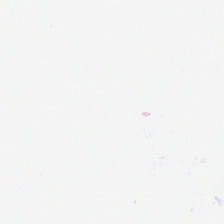FFPE · hematoxylin and eosin. This field is background (no tissue).
